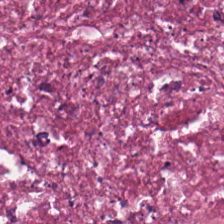H&E — The predominant tissue is debris.
